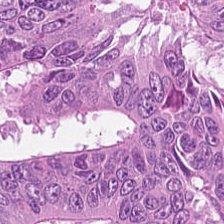Hematoxylin-and-eosin stained section — The predominant tissue is adenocarcinoma.
